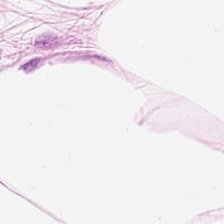0.5 microns per pixel; FFPE tissue section; hematoxylin and eosin — This patch shows fat tissue.
